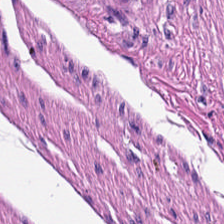Finding — smooth-muscle tissue.
